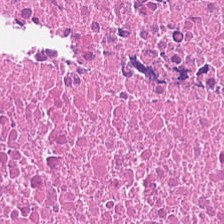Stain: hematoxylin-and-eosin stained section.
Classification: cellular debris.
